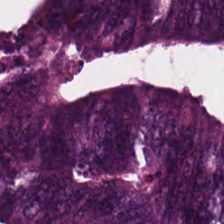FFPE tissue section; whole-slide-image patch; H&E stain.
The tissue here is tumor epithelium.
